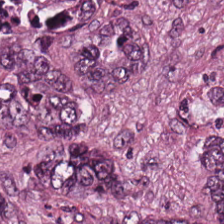Predominantly tumor epithelium.
